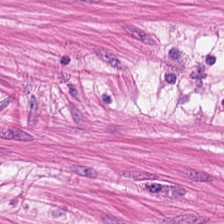H&E-stained tissue section · 20× equivalent magnification · 224×224 pixel tile. Tissue type = muscularis.
